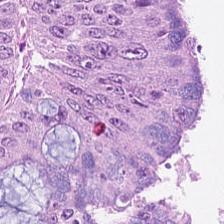Stain: H&E.
Preparation: formalin-fixed paraffin-embedded section.
Acquisition: brightfield microscopy.
Classification: colorectal adenocarcinoma.
